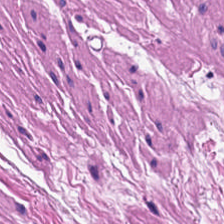Q: What is the predominant tissue type?
A: Muscularis.
